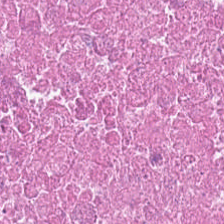Hematoxylin and eosin. Tissue type: debris.
